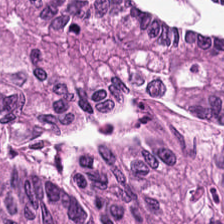H&E patch showing tumor epithelium.
